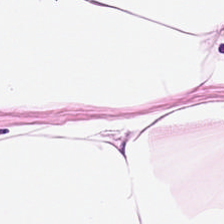Hematoxylin-and-eosin stained section.
Showing adipocytes.
